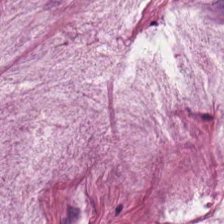Hematoxylin-and-eosin stained section. Q: What does this patch show?
A: Mucus.
